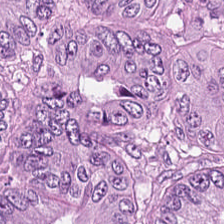Stain: H&E.
Predominant tissue: colorectal adenocarcinoma.
